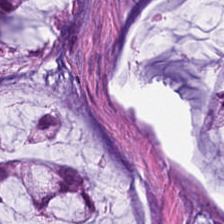Tissue type: extracellular mucin.
